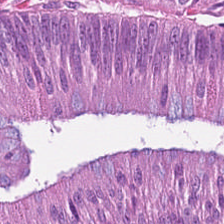Hematoxylin and eosin. {"tissue_type": "colorectal adenocarcinoma epithelium"}
